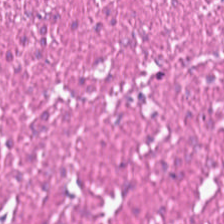H&E. The tissue here is smooth muscle.
